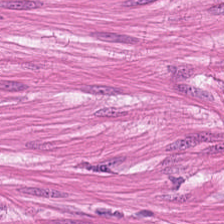Hematoxylin-and-eosin stained section; brightfield — Q: What tissue is shown?
A: It is muscularis.
